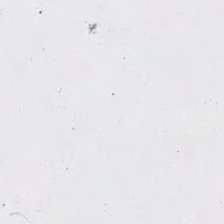H&E stain; FFPE tissue section; whole-slide-image patch.
Classification — empty background.
